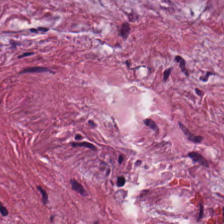FFPE tissue section · H&E.
{"tissue_type": "tumor stroma"}
